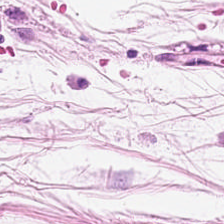H&E stain — The predominant tissue is adipose.
